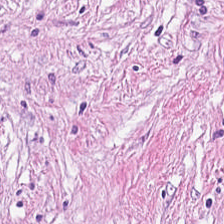FFPE. H&E.
Cancer-associated stroma.
